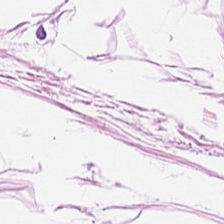Predominant tissue — adipocytes.
